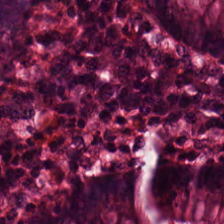H&E — The tissue type is normal colonic mucosa.
